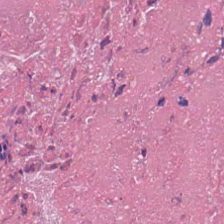Whole-slide-image patch. Hematoxylin and eosin.
Impression — necrotic debris.
